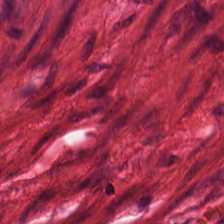Hematoxylin and eosin.
The tissue is smooth-muscle tissue.
